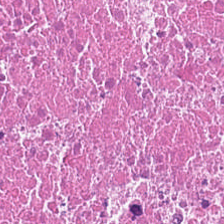H&E. Q: What is the predominant tissue type?
A: Necrotic debris.
